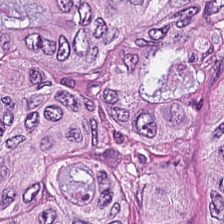H&E — Colorectal adenocarcinoma epithelium.
